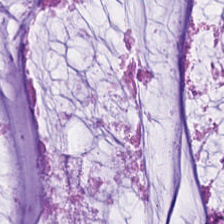Classification — mucin.
